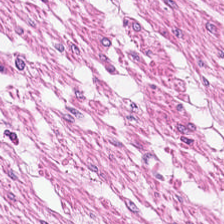Stain: hematoxylin and eosin.
Tissue class: muscularis.
